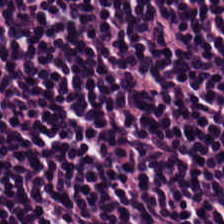H&E stain — Q: What tissue type is shown here?
A: The field shows lymphocytes.
